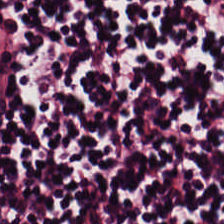224×224 px patch. FFPE. H&E — Q: What is the predominant tissue type?
A: The field shows lymphocytes.
